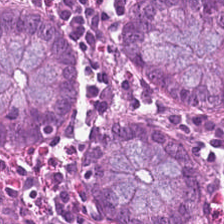Q: Identify the tissue.
A: This is non-neoplastic colon mucosa.
